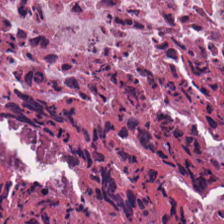Hematoxylin and eosin — {"tissue_type": "necrotic debris"}
